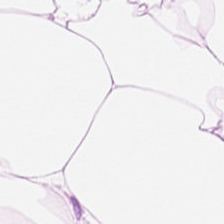Whole-slide-image patch. H&E. This patch shows adipose tissue.
